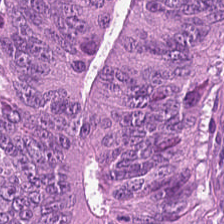224×224 px tile; H&E-stained tissue section; 20× equivalent magnification. The predominant tissue is adenocarcinoma.
